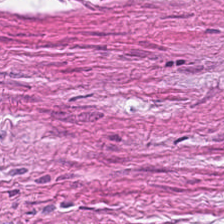FFPE; H&E.
Tissue class — desmoplastic stroma.
